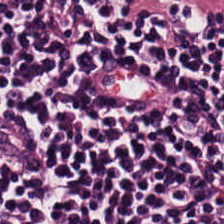H&E. 224×224 px tile. Q: What is the predominant tissue type?
A: It is lymphoid infiltrate.
